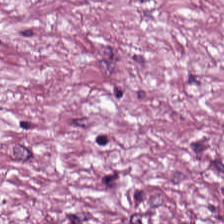224×224 px tile · H&E. Tumor-associated stroma.
